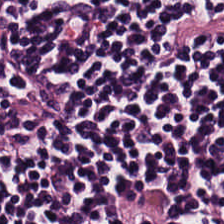Stain: H&E-stained tissue section.
Acquisition: whole-slide-image patch.
Classification: lymphoid infiltrate.
